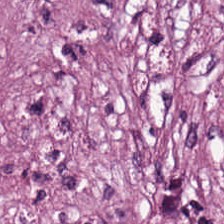H&E stain — Tumor stroma.
